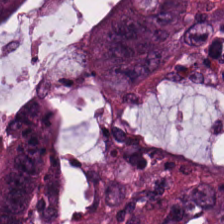H&E.
Tissue class = colorectal adenocarcinoma.
